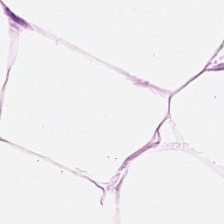Histology — fat tissue.
